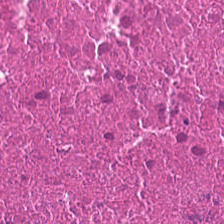H&E-stained tissue section.
{"tissue_type": "necrotic debris"}
